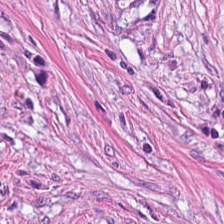H&E.
The tissue here is tumor stroma.
